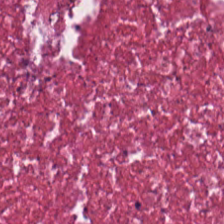H&E stain — Predominant tissue: desmoplastic stroma.
